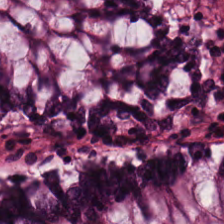Hematoxylin and eosin — The tissue class is normal colon mucosa.
